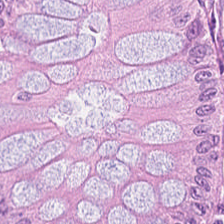H&E — Histology → benign colonic mucosa.
